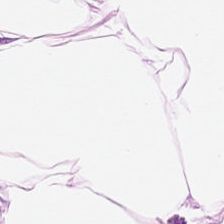Stain: H&E stain.
Preparation: FFPE tissue section.
Tissue class: fat tissue.
